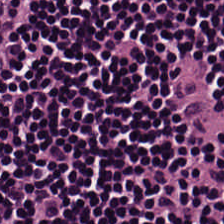Formalin-fixed paraffin-embedded section. H&E stain — Classification — lymphocytic infiltrate.
